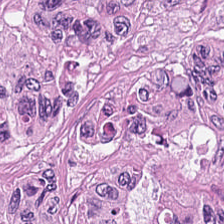224×224 pixel tile; H&E stain. Finding — malignant epithelium.
